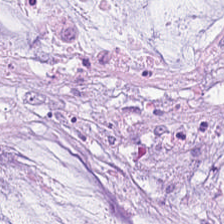{"tissue_type": "mucus"}
